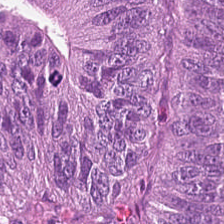Tissue type = malignant epithelium.
